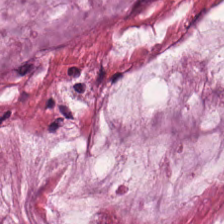H&E. Tissue — mucin.
